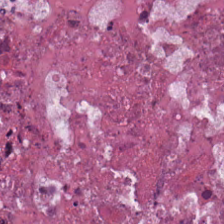H&E-stained tissue section — The classification is necrotic debris.
